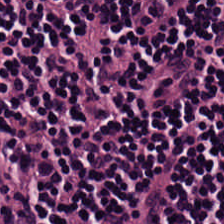H&E-stained tissue section.
Q: What type of tissue is this?
A: The field shows lymphocyte aggregate.
